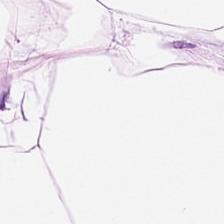Whole-slide-image patch; FFPE tissue section; H&E-stained tissue section — Adipocytes.
